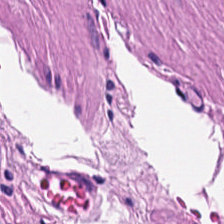H&E — muscularis.
